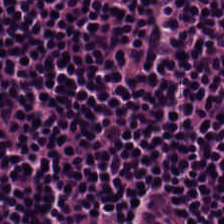H&E stain · 0.5 µm/px.
Histology → lymphocytic infiltrate.
